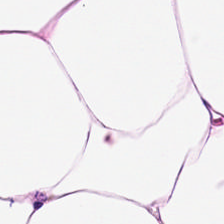H&E-stained tissue section. Brightfield microscopy.
Tissue: adipose tissue.
